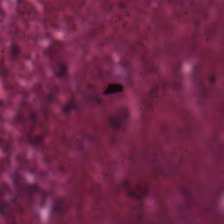Stain: H&E stain.
Tile size: 224×224 px patch.
Resolution: 0.5 µm/px.
Tissue class: debris.
